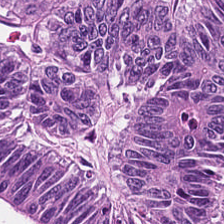H&E stain — Classification: colorectal adenocarcinoma epithelium.
